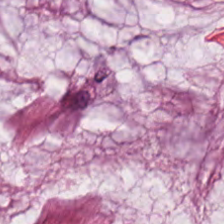H&E-stained tissue section. 224×224 px patch — Finding → mucus.
